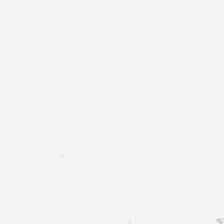Histology — empty background.
